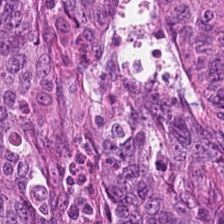Hematoxylin-and-eosin stained section.
Q: What tissue type is shown here?
A: This is colorectal adenocarcinoma.
